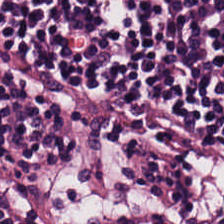Tissue type — lymphocytic infiltrate.
